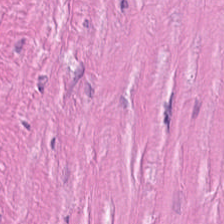Hematoxylin-and-eosin stained section — Histology → cancer-associated stroma.
